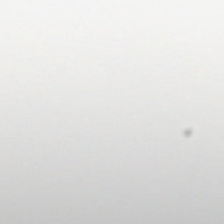0.5 µm per pixel. Hematoxylin-and-eosin stained section. 224×224 px tile. Q: What is shown in this field?
A: The field shows background (no tissue).
